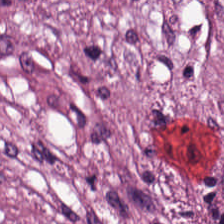224×224 px patch · H&E stain · formalin-fixed paraffin-embedded section — Classification: tumor stroma.
